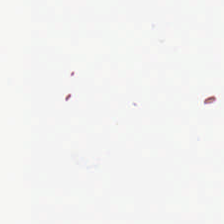H&E stain — Content = no tissue.
